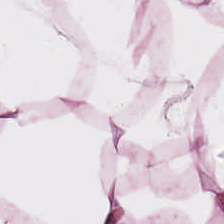Stain: H&E.
Resolution: 0.5 microns per pixel.
Preparation: FFPE.
Tissue: fat tissue.
